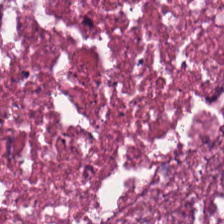Hematoxylin-and-eosin stained section.
Classification: debris.
